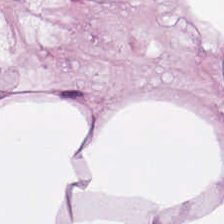Hematoxylin-and-eosin stained section. Classification: adipose tissue.
